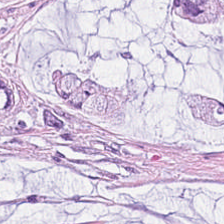Hematoxylin and eosin · 224×224 px patch.
Showing mucin.
